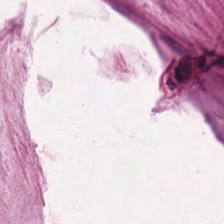FFPE tissue section · hematoxylin-and-eosin stained section. The predominant tissue is mucin.
